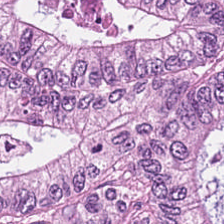Tissue type = adenocarcinoma.
